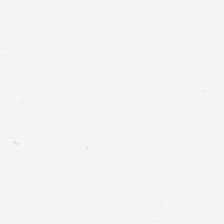The content is no tissue.
